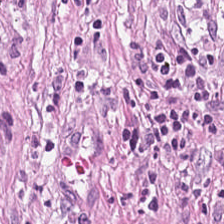Hematoxylin-and-eosin stained section · 0.5 µm/px — The predominant tissue is tumor stroma.
